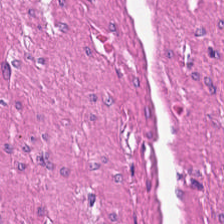Stain: hematoxylin and eosin.
Tissue class: smooth-muscle tissue.
